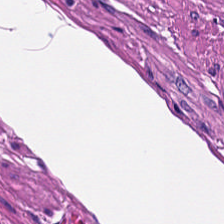H&E stain. 224×224 px patch.
Showing smooth-muscle tissue.
